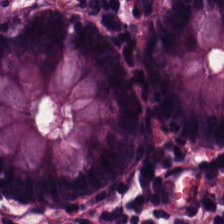Hematoxylin and eosin. Non-neoplastic colon mucosa.
